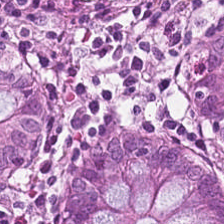Stain: H&E-stained tissue section.
Tissue: benign colonic mucosa.
